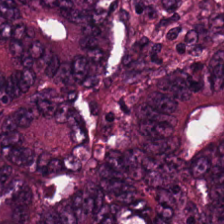H&E-stained tissue section — Finding — malignant epithelium.
